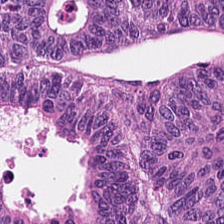Tissue class = adenocarcinoma.
